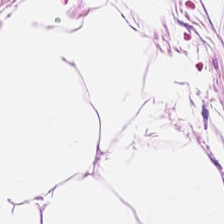Hematoxylin-and-eosin section: adipose.
